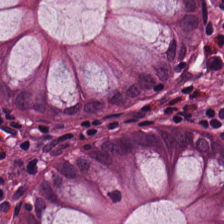H&E — normal colonic mucosa.
